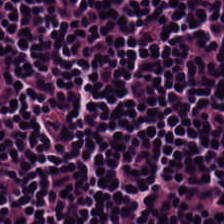H&E-stained tissue section. Predominantly lymphocytes.
